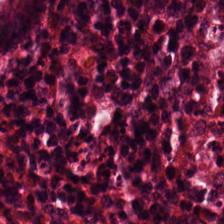Hematoxylin-and-eosin stained section. Tissue class = normal colon mucosa.
